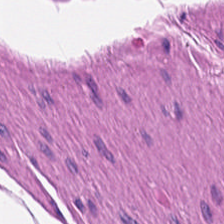Formalin-fixed paraffin-embedded section. Hematoxylin-and-eosin stained section. 0.5 µm per pixel — Predominantly smooth-muscle tissue.
